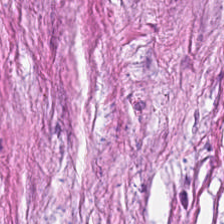Stain: H&E stain.
Acquisition: brightfield.
Tissue class: tumor stroma.
